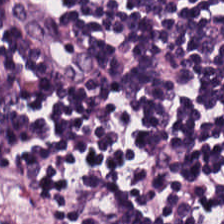H&E stain. The classification is lymphocytic infiltrate.
